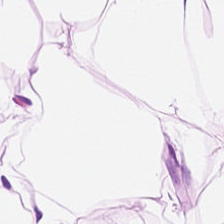224×224 pixel tile · H&E stain.
Tissue type: adipose.
